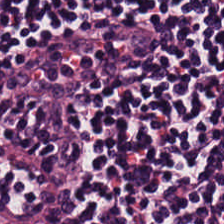Predominant tissue: lymphocytes.
